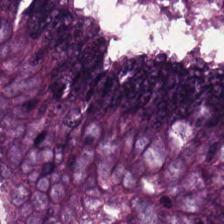Tissue: colorectal adenocarcinoma.
